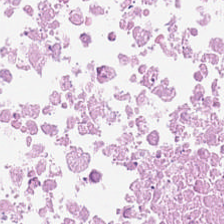WSI patch · H&E-stained tissue section · 0.5 microns per pixel — Q: What does this patch show?
A: Cellular debris.
